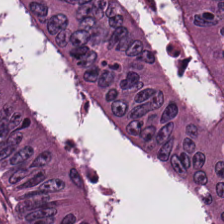H&E-stained tissue section.
Adenocarcinoma.
